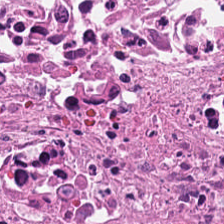Hematoxylin and eosin.
Impression — necrotic debris.
